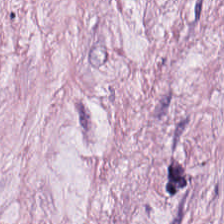H&E-stained section; the field shows tumor-associated stroma.
